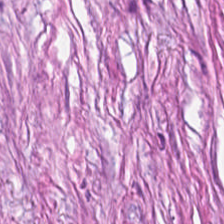H&E. Histology → desmoplastic stroma.
